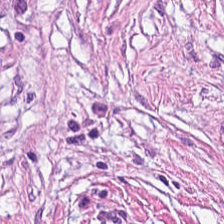H&E. Q: Identify the tissue.
A: The field shows tumor-associated stroma.
